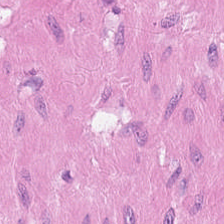Hematoxylin and eosin — Histology — muscularis.
